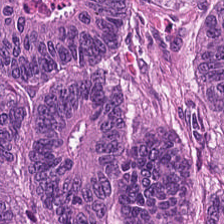Hematoxylin and eosin · 20× equivalent magnification — Predominantly colorectal adenocarcinoma epithelium.
